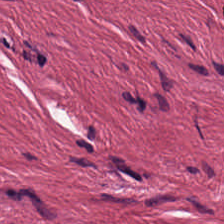H&E-stained tissue section.
Predominantly cancer-associated stroma.
